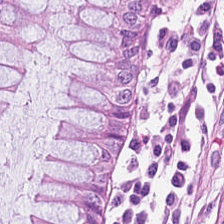H&E stain · 0.5 microns per pixel · formalin-fixed paraffin-embedded section. Predominantly benign colonic mucosa.
